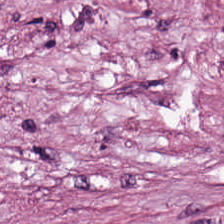Formalin-fixed paraffin-embedded section; H&E — The tissue type is cancer-associated stroma.
